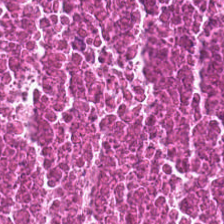Hematoxylin-and-eosin stained section; 0.5 µm/px; 224×224 px tile — The tissue is necrotic debris.
